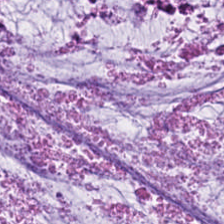Stain: hematoxylin and eosin.
Classification: mucus.
